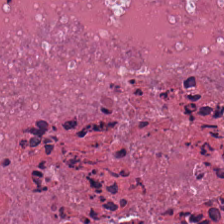224×224 px tile; hematoxylin and eosin. Q: What is shown in this field?
A: It is necrotic debris.
